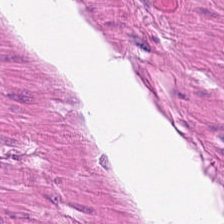Predominantly smooth-muscle tissue.
